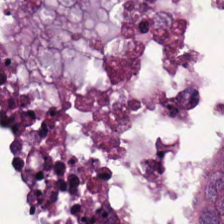The tissue is adenocarcinoma.
